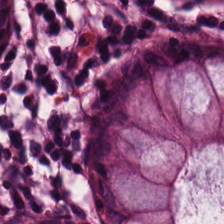H&E. The tissue here is normal colonic mucosa.
